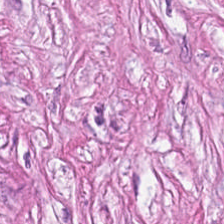224×224 px tile; hematoxylin-and-eosin stained section. Q: Identify the tissue.
A: Tumor stroma.
